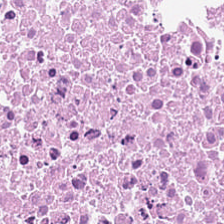0.5 µm per pixel; brightfield; H&E-stained tissue section.
The predominant tissue is debris.
